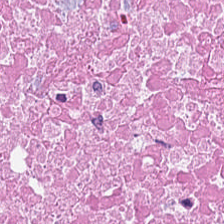0.5 microns per pixel. H&E. 224×224 pixel tile.
Predominantly debris.
